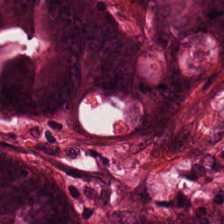Brightfield · H&E.
This field is malignant epithelium.
